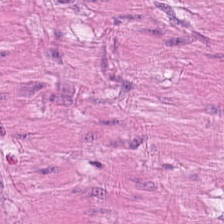Stain: hematoxylin-and-eosin stained section.
Tile size: 224×224 pixel tile.
Tissue: muscularis.
